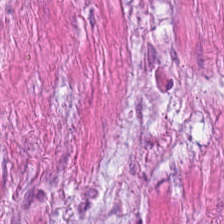H&E stain — The tissue type is smooth muscle.
